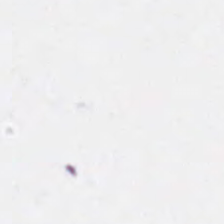224×224 px patch. Hematoxylin and eosin. Impression — background.
